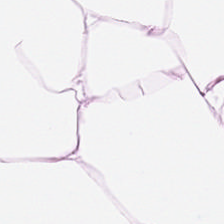H&E-stained tissue section — Finding — adipocytes.
